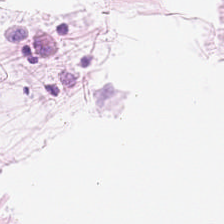Hematoxylin and eosin.
Impression → adipocytes.
